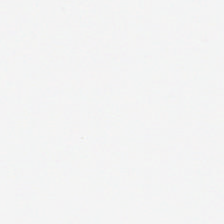Classification = background (no tissue).
